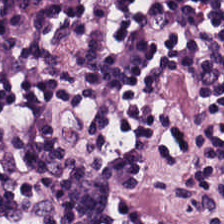H&E stain — Showing lymphocyte aggregate.
